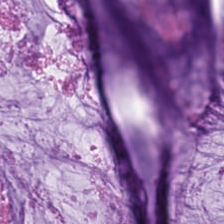Hematoxylin-and-eosin stained section.
Q: What tissue is shown?
A: The field shows mucus.
